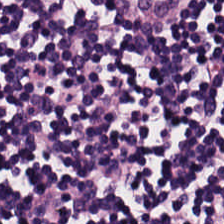H&E stain. The tissue class is lymphocyte aggregate.
